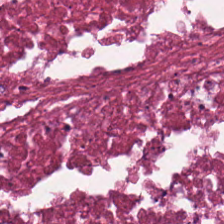H&E-stained tissue section.
The tissue type is necrotic debris.
